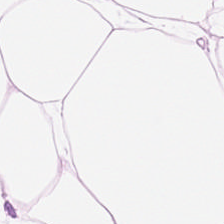H&E; 224×224 px patch.
Predominantly adipose tissue.
